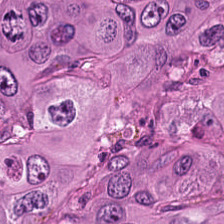Brightfield microscopy · formalin-fixed paraffin-embedded section · H&E stain. {"tissue_type": "colorectal adenocarcinoma epithelium"}
